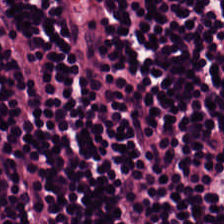The tissue type is lymphoid infiltrate.
